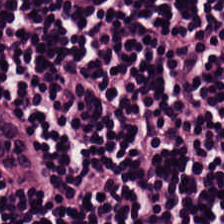The tissue type is lymphoid infiltrate.
